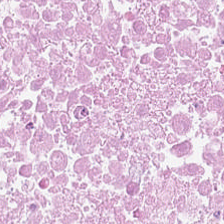The tissue here is debris.
